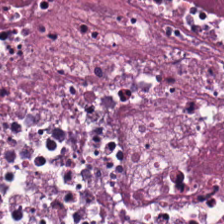H&E-stained tissue section. 224×224 px tile — This field is debris.
